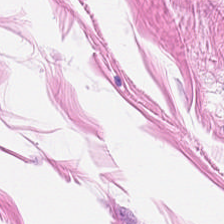Stain: H&E.
Classification: muscularis.
